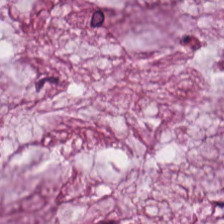The tissue type is mucin.
